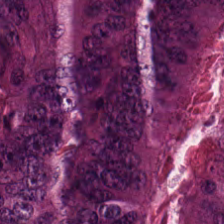Formalin-fixed paraffin-embedded section; H&E stain. Colorectal adenocarcinoma.
